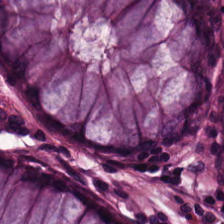0.5 microns per pixel; H&E stain. This field is normal colon mucosa.
